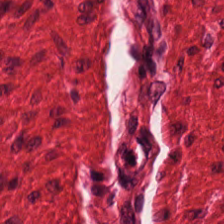Whole-slide-image patch; hematoxylin-and-eosin stained section; 0.5 µm per pixel.
Q: What is the predominant tissue type?
A: Muscularis.
